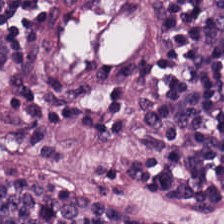The tissue here is lymphocytic infiltrate.
